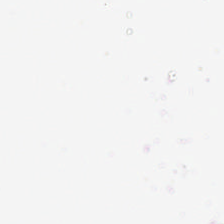Stain: hematoxylin-and-eosin stained section.
Classification: background.
